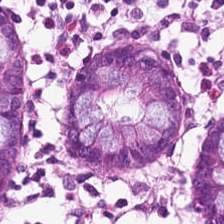Finding — benign colonic mucosa.
